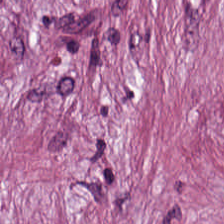Predominant tissue — tumor-associated stroma.
